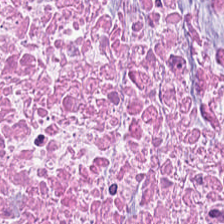Q: What type of tissue is this?
A: It is debris.
